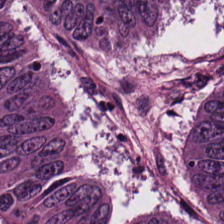Hematoxylin-and-eosin stained section.
Malignant epithelium.
